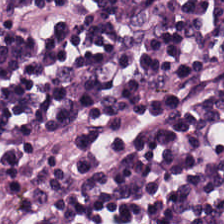H&E patch showing lymphocyte aggregate.
